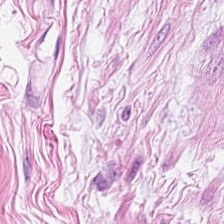Hematoxylin-and-eosin stained section — The tissue type is fat tissue.
